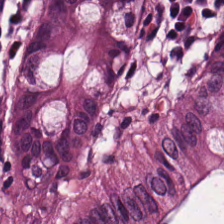Stain: H&E.
Predominant tissue: normal colon mucosa.
